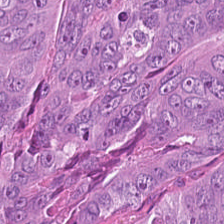H&E · FFPE tissue section — Q: What is shown in this field?
A: This is colorectal adenocarcinoma.
